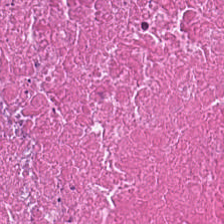H&E.
{"tissue_type": "cellular debris"}
